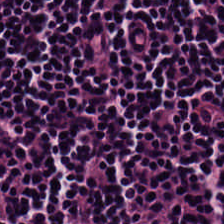FFPE; H&E stain.
This field is lymphocytic infiltrate.
